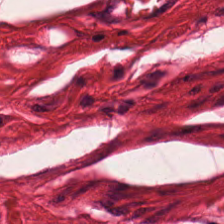Stain: hematoxylin-and-eosin stained section.
Acquisition: brightfield.
Tissue type: smooth-muscle tissue.
